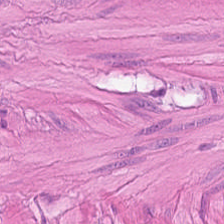H&E — Tissue: smooth muscle.
